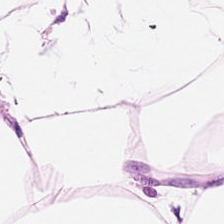Hematoxylin-and-eosin stained section; whole-slide-image patch.
This patch shows adipose tissue.
